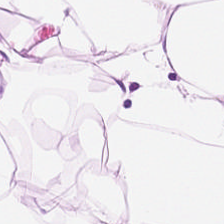Classification: adipose tissue.
